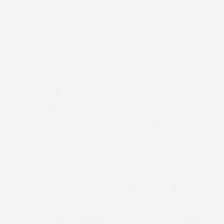H&E; formalin-fixed paraffin-embedded section.
Q: What is shown in this field?
A: No tissue.
